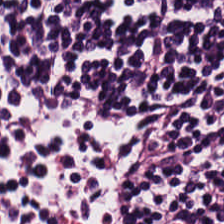Predominant tissue = lymphoid infiltrate.
